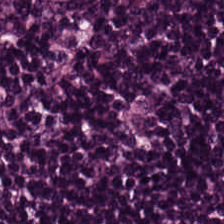Stain: H&E stain.
Tissue type: lymphocytic infiltrate.
